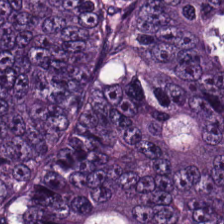Hematoxylin-and-eosin stained section · 0.5 microns per pixel · FFPE.
This patch shows colorectal adenocarcinoma epithelium.
